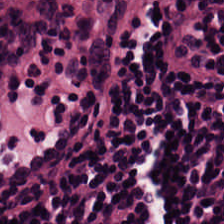H&E stain — This patch shows lymphocytic infiltrate.
